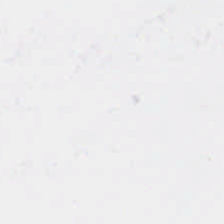Brightfield. H&E. FFPE tissue section.
Classification — background.
